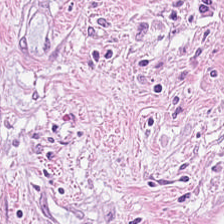Classification: desmoplastic stroma.
